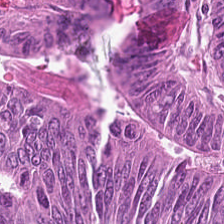Q: What is shown here?
A: Colorectal adenocarcinoma.
